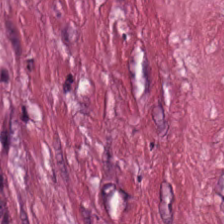Hematoxylin-and-eosin stained section. 20× equivalent magnification. 224×224 px patch. Cancer-associated stroma.
